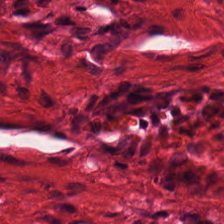0.5 microns per pixel · hematoxylin-and-eosin stained section. The classification is smooth-muscle tissue.
